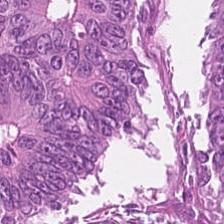224×224 pixel tile · H&E stain.
Tissue: tumor epithelium.
